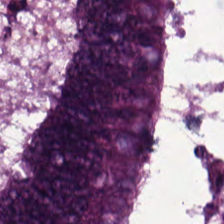Hematoxylin-and-eosin stained section. 0.5 microns per pixel. WSI patch.
Histology — colorectal adenocarcinoma epithelium.
